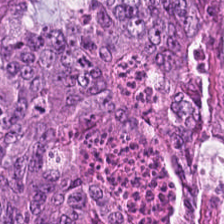H&E stain. The tissue is adenocarcinoma.
